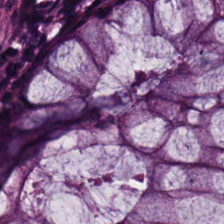H&E.
The predominant tissue is non-neoplastic colon mucosa.
